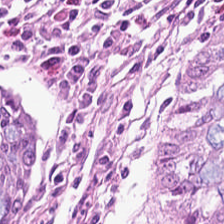H&E-stained tissue section; brightfield microscopy; formalin-fixed paraffin-embedded section. The tissue here is normal colon mucosa.
